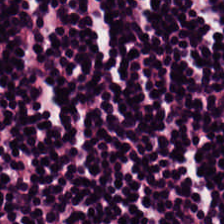H&E stain — Finding — lymphocyte aggregate.
